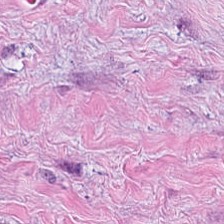Predominantly tumor stroma.
